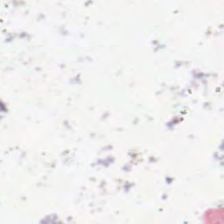Hematoxylin and eosin — Empty field — background.
